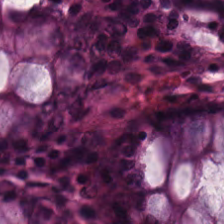20× equivalent magnification · H&E stain. Q: What is shown here?
A: The field shows normal colonic mucosa.
